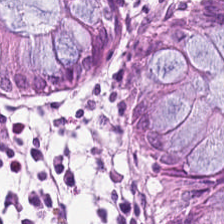H&E stain — Impression → normal colonic mucosa.
